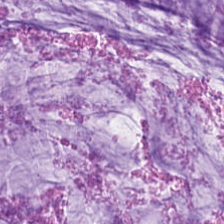Stain: H&E-stained tissue section.
Resolution: 20× equivalent magnification.
Tissue class: mucin.
